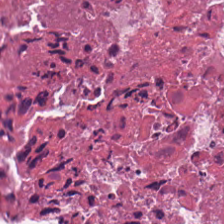Hematoxylin and eosin — Predominantly debris.
